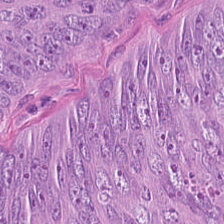Stain: H&E-stained tissue section.
Predominant tissue: malignant epithelium.
